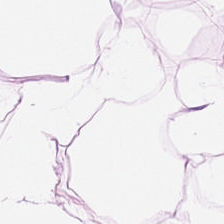Hematoxylin and eosin · FFPE · 0.5 µm per pixel — Histology — adipocytes.
